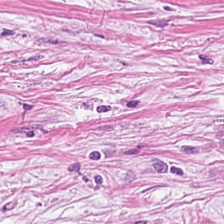H&E-stained tissue section.
Cancer-associated stroma.
